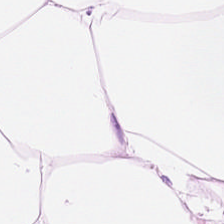Stain: hematoxylin and eosin.
Predominant tissue: adipose tissue.
